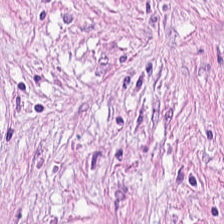Predominantly cancer-associated stroma.
